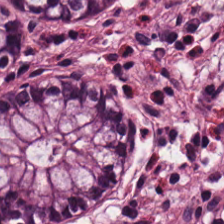{"tissue_type": "non-neoplastic colon mucosa"}
